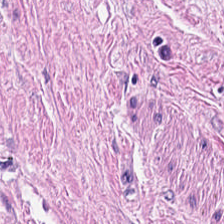Hematoxylin and eosin — Tissue type = smooth muscle.
